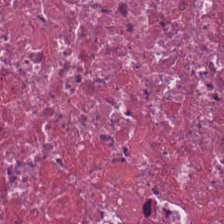H&E-stained tissue section.
This patch shows cellular debris.
